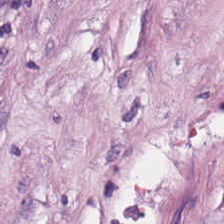Stain: hematoxylin-and-eosin stained section.
Tissue type: tumor-associated stroma.
